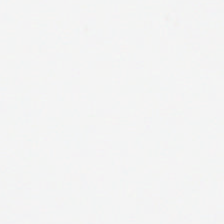Hematoxylin and eosin · 0.5 µm/px · 224×224 px tile.
This field is background (no tissue).
